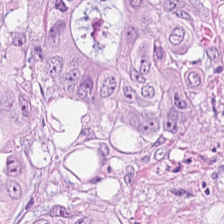H&E.
Colorectal adenocarcinoma.
